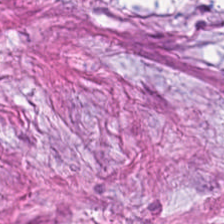H&E-stained tissue section showing tumor stroma.
